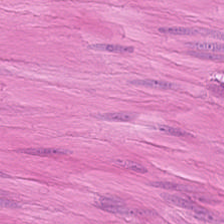H&E. Predominantly muscularis.
